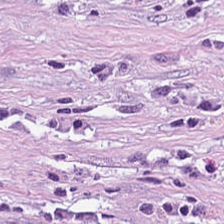Hematoxylin-and-eosin stained section. Tissue: cancer-associated stroma.
